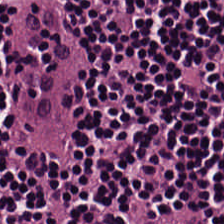Impression → lymphocyte aggregate.
